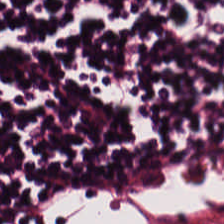H&E-stained tissue section. 0.5 µm/px.
Predominantly lymphocytes.
